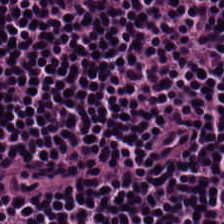224×224 px patch; H&E.
{"tissue_type": "lymphocytes"}
